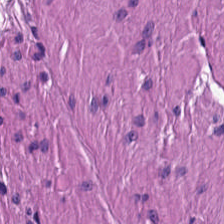Whole-slide-image patch. Hematoxylin-and-eosin stained section. FFPE — Showing smooth muscle.
